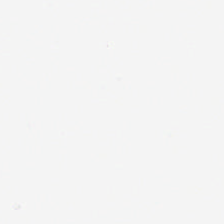0.5 µm/px; H&E-stained tissue section. Empty field — background.
